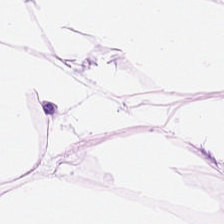H&E.
The predominant tissue is adipose.
